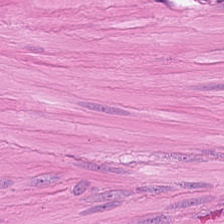Histology — smooth-muscle tissue.
